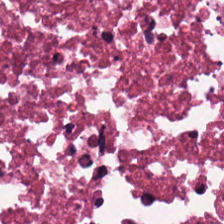Stain: hematoxylin and eosin.
Tissue: debris.
